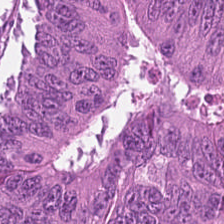Hematoxylin and eosin. Brightfield. 224×224 px patch. Q: What tissue type is shown here?
A: It is colorectal adenocarcinoma.
